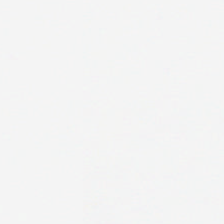Hematoxylin and eosin. No tissue.
